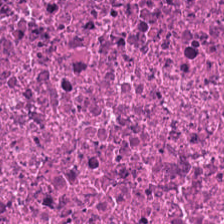224×224 px patch · hematoxylin-and-eosin stained section. The tissue class is debris.
